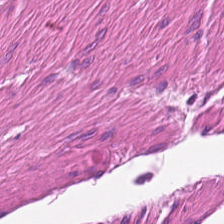H&E stain.
Histology → muscularis.
